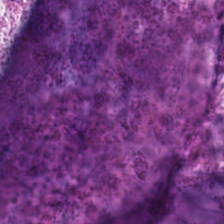This field is mucin.
